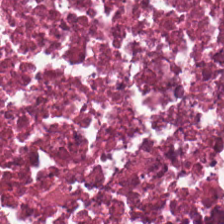H&E stain · 20× equivalent magnification.
Q: Classify this patch.
A: This is debris.
